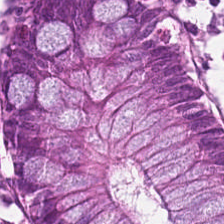Q: What tissue is shown?
A: It is non-neoplastic colon mucosa.
